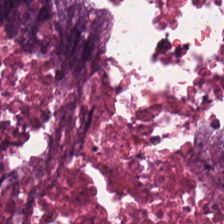H&E-stained tissue section.
Q: What type of tissue is this?
A: Cellular debris.
